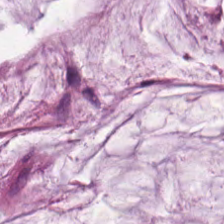H&E-stained tissue section · brightfield.
The tissue class is mucus.
